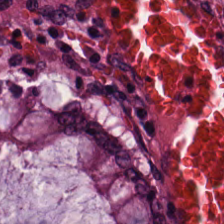H&E stain — Finding → benign colonic mucosa.
